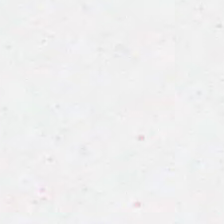H&E. {"content": "background (no tissue)"}
